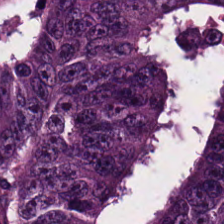20× equivalent magnification; H&E stain; whole-slide-image patch. Tissue type — tumor epithelium.
